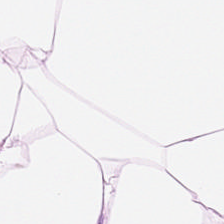Hematoxylin and eosin.
Predominantly fat tissue.
